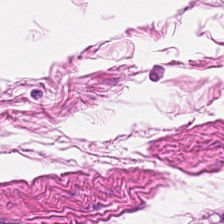Hematoxylin and eosin. Histology → smooth muscle.
